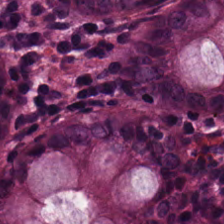224×224 px patch · hematoxylin-and-eosin stained section · FFPE tissue section. Tissue class: normal colon mucosa.
